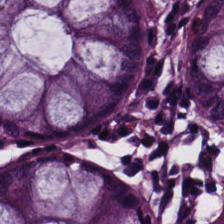Hematoxylin and eosin — Q: What tissue is shown?
A: This is normal colonic mucosa.
